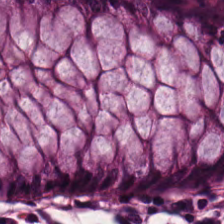224×224 pixel tile. WSI patch. H&E-stained tissue section.
Q: Classify this patch.
A: This is non-neoplastic colon mucosa.
